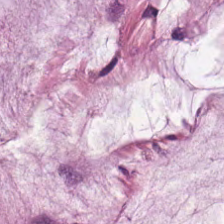H&E-stained section; the field shows mucin.
